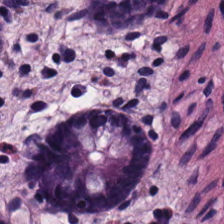Q: What is the predominant tissue type?
A: Non-neoplastic colon mucosa.
